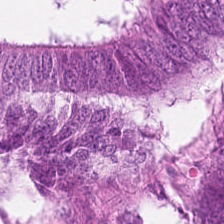Hematoxylin and eosin.
Predominantly colorectal adenocarcinoma epithelium.
